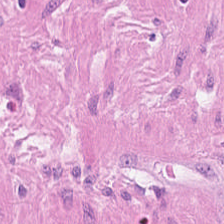FFPE tissue section. WSI patch. H&E-stained tissue section. Predominantly muscularis.
